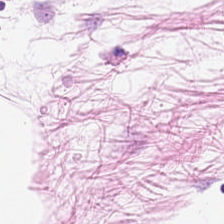H&E. The predominant tissue is adipocytes.
